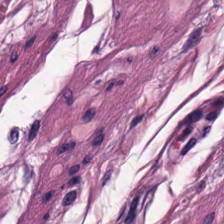224×224 px patch · H&E-stained tissue section.
Classification = smooth muscle.
